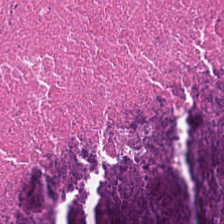FFPE tissue section; hematoxylin-and-eosin stained section. Tissue type — cellular debris.
